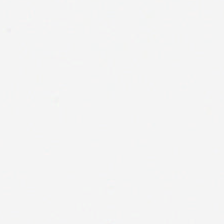Whole-slide-image patch; 0.5 µm/px; H&E. Background — no tissue in this field.
